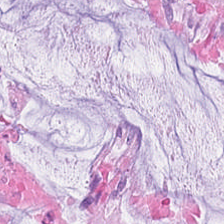The predominant tissue is mucus.
